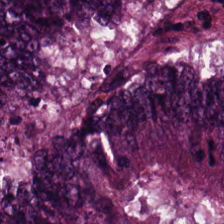Hematoxylin-and-eosin stained section. Predominant tissue = colorectal adenocarcinoma epithelium.
